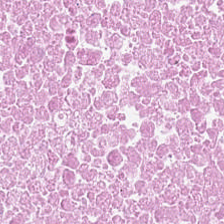Hematoxylin and eosin; FFPE tissue section. {"tissue_type": "necrotic debris"}
